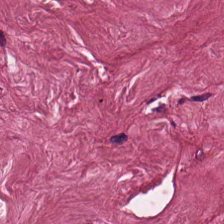Hematoxylin-and-eosin stained section — The tissue is cancer-associated stroma.
